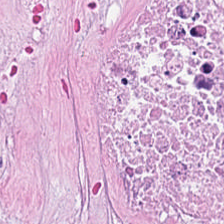Finding — necrotic debris.
